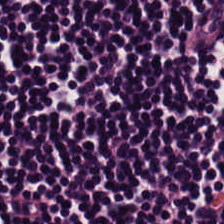Stain: hematoxylin and eosin.
Tissue type: lymphocytes.
